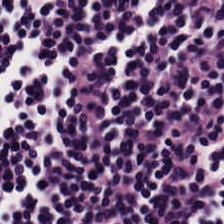H&E-stained tissue section.
Predominantly lymphoid infiltrate.
